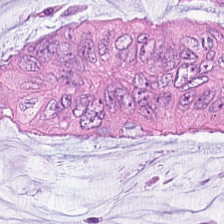Histology — extracellular mucin.
